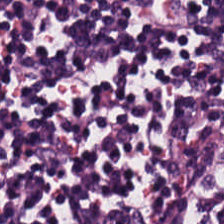H&E — Tissue type = lymphoid infiltrate.
